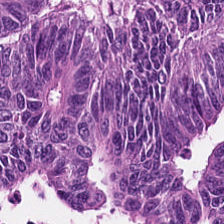Brightfield · H&E. Finding — colorectal adenocarcinoma.
